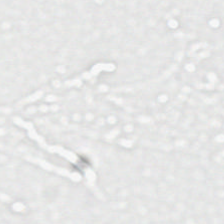Stain: H&E stain.
Content: empty background.
